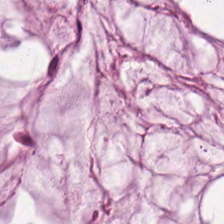Finding — mucus.
